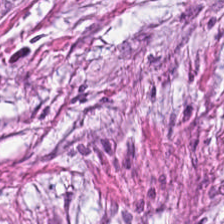H&E — Q: What is the predominant tissue type?
A: Desmoplastic stroma.
